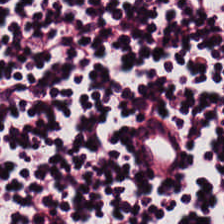The predominant tissue is lymphoid infiltrate.
